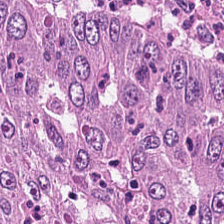H&E-stained tissue section. Tissue class = tumor epithelium.
